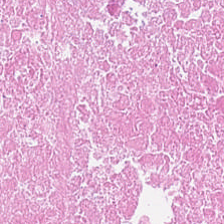Hematoxylin and eosin. Classification — cellular debris.
